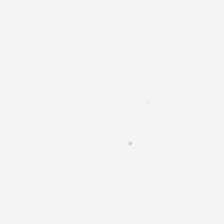Stain: hematoxylin and eosin.
Field content: no tissue.
